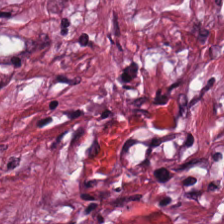{"tissue_type": "cancer-associated stroma"}
